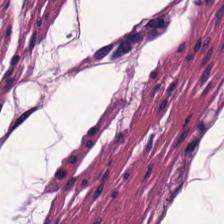Stain: hematoxylin-and-eosin stained section.
Preparation: FFPE.
Tissue type: smooth muscle.
